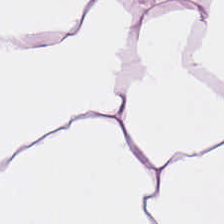Hematoxylin-and-eosin stained section · 20× equivalent magnification · formalin-fixed paraffin-embedded section — {"tissue_type": "fat tissue"}
